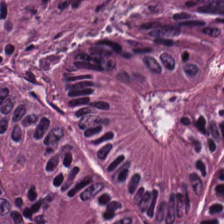H&E · FFPE tissue section · 0.5 µm per pixel. Finding — tumor epithelium.
